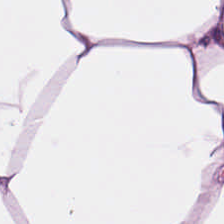Q: What tissue type is shown here?
A: Adipocytes.
